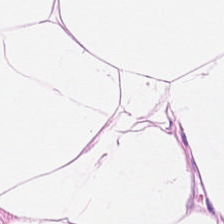H&E-stained tissue section. 224×224 pixel tile. WSI patch.
{"tissue_type": "adipose tissue"}
